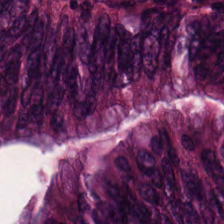H&E. This patch shows colorectal adenocarcinoma epithelium.
